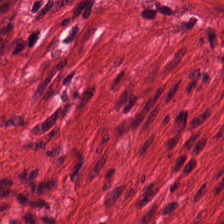{"tissue_type": "smooth muscle"}
